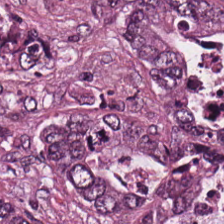Stain: H&E-stained tissue section.
Preparation: FFPE.
Classification: malignant epithelium.
